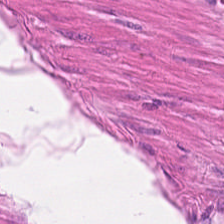Brightfield · hematoxylin and eosin · 0.5 microns per pixel. This patch shows smooth-muscle tissue.
